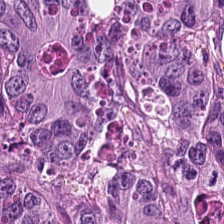Stain: H&E.
Tissue type: colorectal adenocarcinoma.
